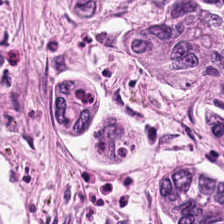Stain: H&E stain.
Resolution: 0.5 microns per pixel.
Tissue class: adenocarcinoma.
